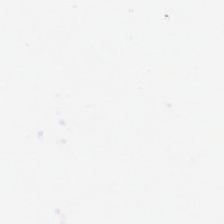Q: Classify this patch.
A: Background (no tissue).
